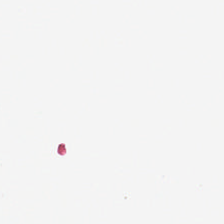Whole-slide-image patch. H&E stain. 0.5 microns per pixel.
This patch shows background (no tissue).
